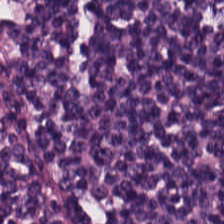Hematoxylin-and-eosin stained section. Q: What is the predominant tissue type?
A: This is lymphocytes.
